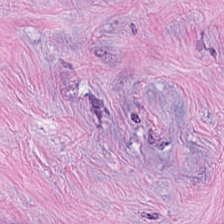Hematoxylin and eosin — Tissue = desmoplastic stroma.
